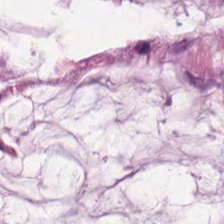H&E stain — Mucin.
